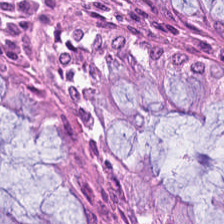Hematoxylin-and-eosin section: normal colonic mucosa.
